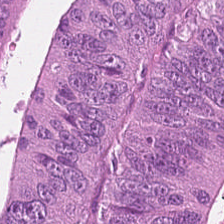{"tissue_type": "malignant epithelium"}
